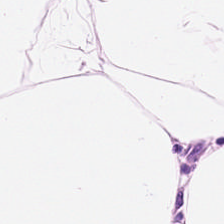Tissue type = adipose.
